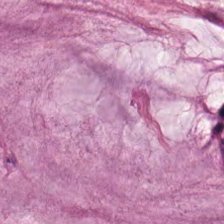Hematoxylin-and-eosin stained section — Q: What is shown in this field?
A: This is mucin.
